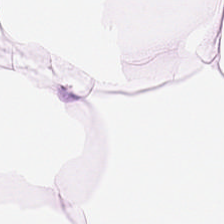H&E stain — This field is fat tissue.
